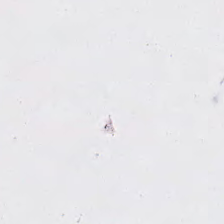Whole-slide-image patch. Hematoxylin and eosin — Field content — background.
